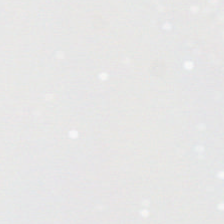Hematoxylin-and-eosin stained section. 224×224 px patch. 0.5 microns per pixel.
Background.
